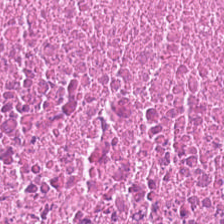H&E · 20× equivalent magnification.
Q: What does this patch show?
A: The field shows necrotic debris.
